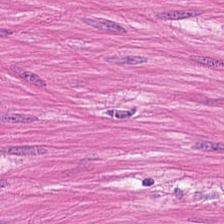Hematoxylin-and-eosin stained section — Showing smooth muscle.
